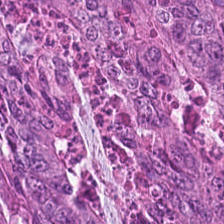Hematoxylin-and-eosin stained section; 224×224 px tile.
The tissue type is colorectal adenocarcinoma.
